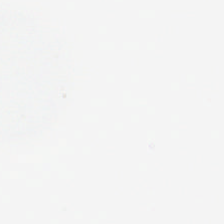H&E stain · brightfield microscopy — {"content": "background (no tissue)"}
